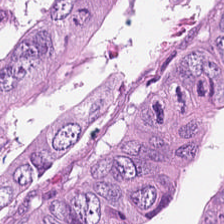H&E-stained tissue section · WSI patch · 0.5 microns per pixel — Finding — colorectal adenocarcinoma.
